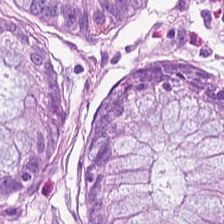FFPE. H&E stain — Impression — normal colon mucosa.
